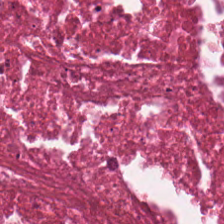Hematoxylin and eosin. 224×224 px tile — The tissue type is debris.
